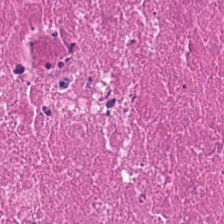Predominant tissue — cellular debris.
